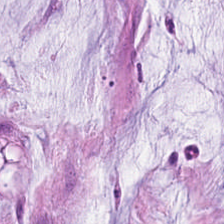224×224 pixel tile; H&E-stained tissue section — Predominantly mucus.
